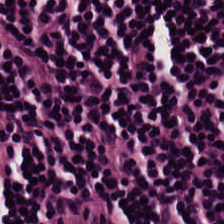Tissue class: lymphocyte aggregate.
